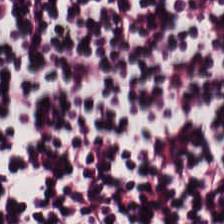Classification — lymphoid infiltrate.
